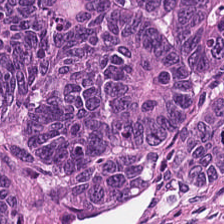Hematoxylin and eosin.
Predominantly tumor epithelium.
